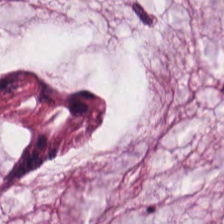Stain: H&E-stained tissue section.
Predominant tissue: extracellular mucin.
